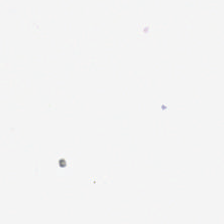Stain: hematoxylin-and-eosin stained section.
Field content: background.
